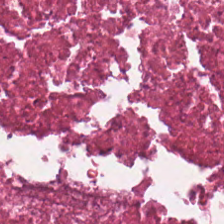Histology — debris.
